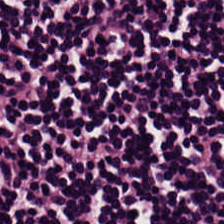H&E stain.
Impression → lymphocytic infiltrate.
